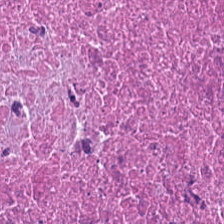The predominant tissue is cellular debris.
